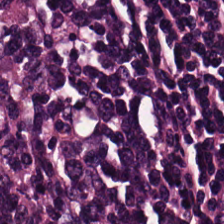H&E. This patch shows lymphocyte aggregate.
